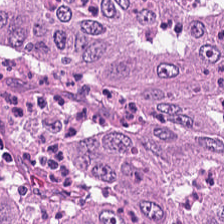Predominantly malignant epithelium.
